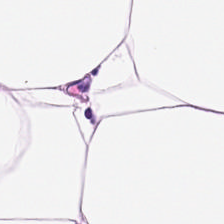224×224 px patch; hematoxylin and eosin — Q: What is shown here?
A: This is fat tissue.
